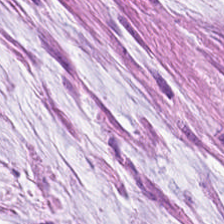H&E-stained tissue section — Q: Identify the tissue.
A: Mucus.
